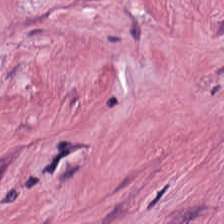The tissue here is desmoplastic stroma.
